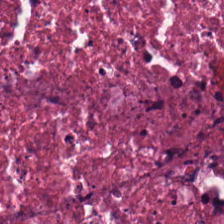Hematoxylin-and-eosin section: cellular debris.
